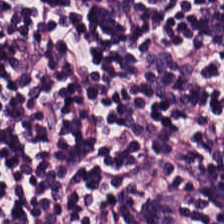Hematoxylin and eosin. WSI patch. Formalin-fixed paraffin-embedded section. The predominant tissue is lymphocyte aggregate.
